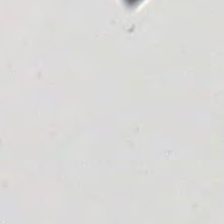Hematoxylin-and-eosin stained section. 224×224 px patch. 0.5 microns per pixel — Background — no tissue in this field.
